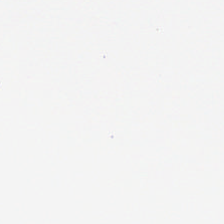H&E-stained tissue section — Classification: no tissue.
